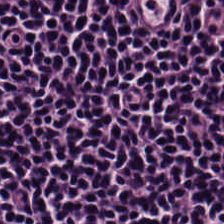Hematoxylin and eosin. {"tissue_type": "lymphoid infiltrate"}
